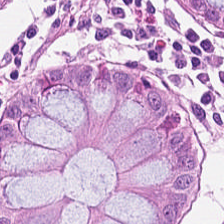Stain: hematoxylin and eosin.
Resolution: 0.5 µm/px.
Tile size: 224×224 pixel tile.
Tissue type: benign colonic mucosa.
